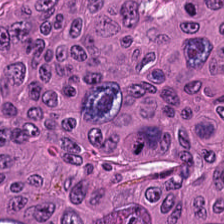Q: What type of tissue is this?
A: It is adenocarcinoma.
